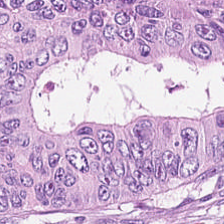H&E; 224×224 pixel tile.
Tissue = colorectal adenocarcinoma epithelium.
